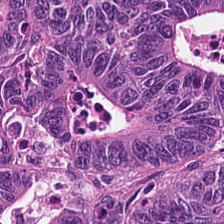224×224 pixel tile · H&E — Classification: malignant epithelium.
